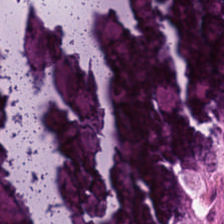224×224 pixel tile; H&E; whole-slide-image patch. Impression → necrotic debris.
